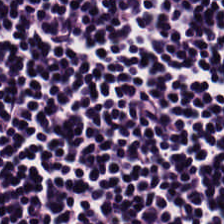H&E.
The tissue here is lymphocyte aggregate.
